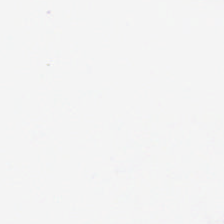WSI patch; H&E-stained tissue section. The content is background (no tissue).
